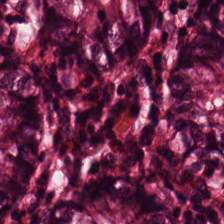Stain: H&E.
Predominant tissue: benign colonic mucosa.
